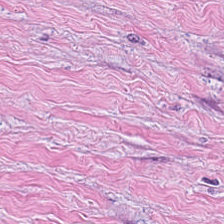Tissue — tumor-associated stroma.
